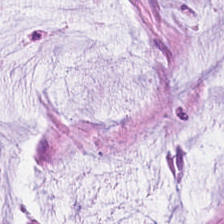H&E stain.
{"tissue_type": "mucus"}
